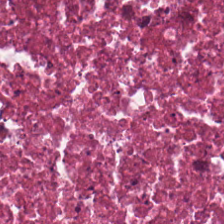FFPE. H&E-stained tissue section. 0.5 µm/px — The tissue here is cellular debris.
